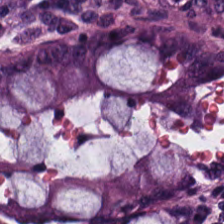H&E-stained tissue section. Tissue class = non-neoplastic colon mucosa.
